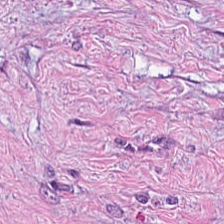Stain: H&E-stained tissue section.
Tissue class: cancer-associated stroma.
